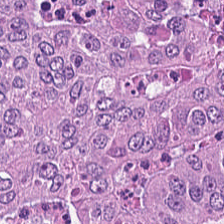H&E stain — This patch shows colorectal adenocarcinoma.
